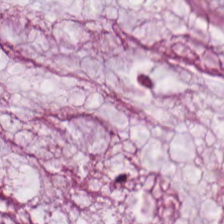224×224 px patch; H&E. Q: Classify this patch.
A: This is mucin.
